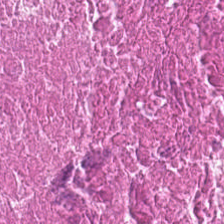Histology → cellular debris.
